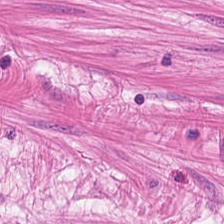Formalin-fixed paraffin-embedded section; hematoxylin-and-eosin stained section.
Q: What tissue type is shown here?
A: This is smooth muscle.
